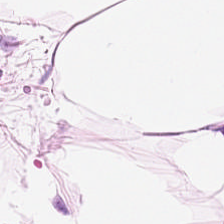H&E.
Q: What type of tissue is this?
A: The field shows fat tissue.
